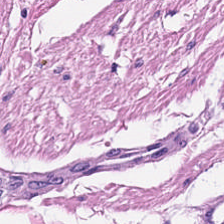Q: Identify the tissue.
A: It is smooth muscle.
